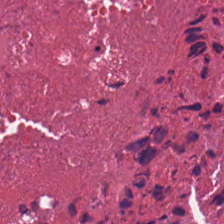224×224 px tile. WSI patch. Hematoxylin-and-eosin stained section — {"tissue_type": "debris"}
